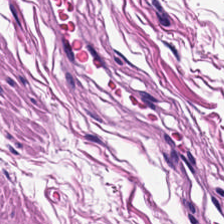Stain: H&E stain.
Tissue: smooth muscle.
